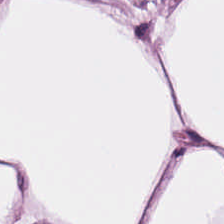0.5 microns per pixel. H&E stain. The tissue is adipose tissue.
